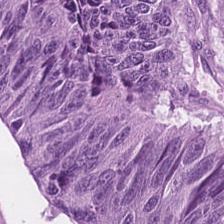Hematoxylin and eosin. FFPE — Predominant tissue = colorectal adenocarcinoma.
